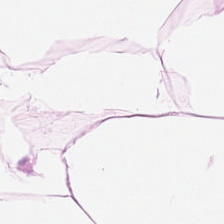Formalin-fixed paraffin-embedded section; H&E — Tissue type — adipose.
